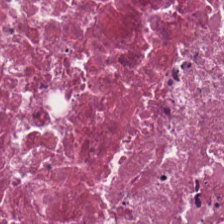H&E stain; formalin-fixed paraffin-embedded section.
Predominant tissue — cellular debris.
